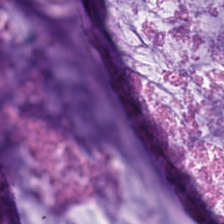H&E. Q: Classify this patch.
A: The field shows mucin.
